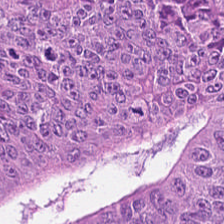Hematoxylin-and-eosin stained section · 0.5 µm per pixel. The predominant tissue is colorectal adenocarcinoma epithelium.
